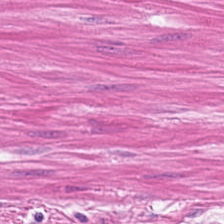Hematoxylin-and-eosin stained section.
Tissue type: muscularis.
